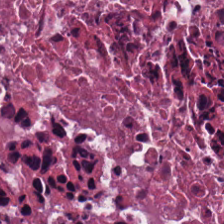Stain: H&E stain.
Tissue class: necrotic debris.
